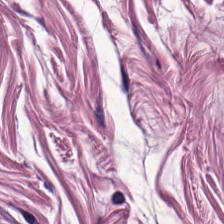The predominant tissue is muscularis.
